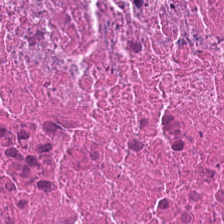H&E-stained tissue section — This field is debris.
